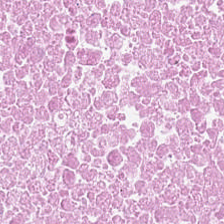Stain: H&E stain.
Classification: necrotic debris.
